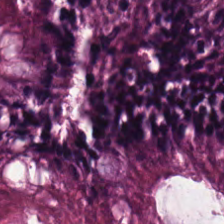H&E. 224×224 px tile. 0.5 µm per pixel. Benign colonic mucosa.
